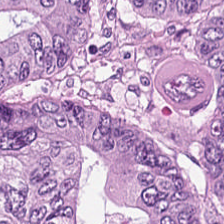H&E; whole-slide-image patch.
Colorectal adenocarcinoma.
